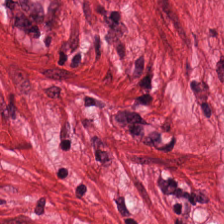224×224 pixel tile. 0.5 microns per pixel. Hematoxylin-and-eosin stained section. Showing smooth-muscle tissue.
